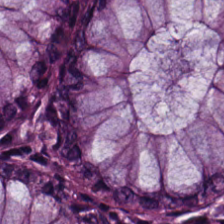0.5 microns per pixel. Hematoxylin and eosin — Showing normal colonic mucosa.
